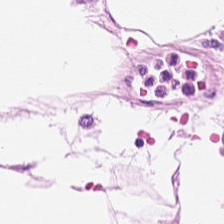0.5 µm/px. H&E. Tissue — adipose tissue.
